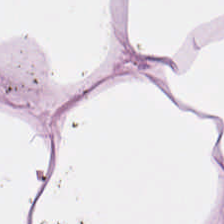Whole-slide-image patch · hematoxylin-and-eosin stained section · FFPE tissue section. Predominant tissue: fat tissue.
